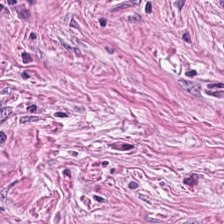H&E.
Q: What is shown in this field?
A: The field shows tumor-associated stroma.
